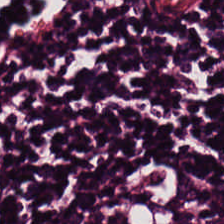Stain: H&E.
Tissue class: lymphocytes.
